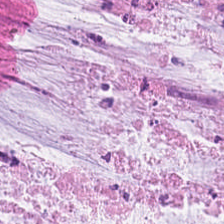The tissue is mucus.
